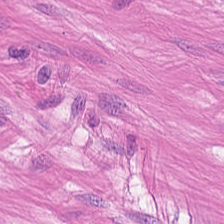Formalin-fixed paraffin-embedded section · H&E stain · 0.5 µm/px.
Histology → smooth muscle.
